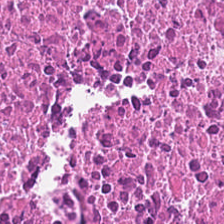Hematoxylin-and-eosin stained section. The tissue type is necrotic debris.
